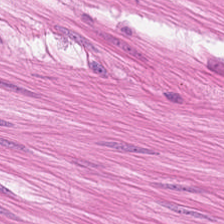H&E-stained tissue section — Tissue: smooth-muscle tissue.
